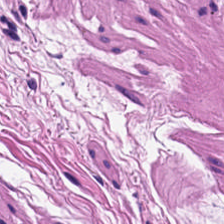Hematoxylin and eosin · 0.5 µm per pixel · FFPE. Smooth muscle.
